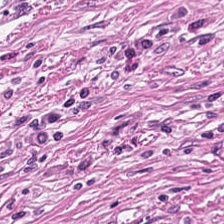Hematoxylin-and-eosin stained section. Formalin-fixed paraffin-embedded section.
Q: Identify the tissue.
A: The field shows desmoplastic stroma.
